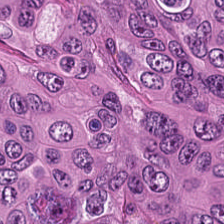Hematoxylin and eosin — Showing colorectal adenocarcinoma epithelium.
